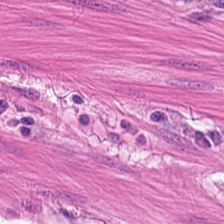Brightfield microscopy · H&E-stained tissue section · 20× equivalent magnification — {"tissue_type": "muscularis"}
